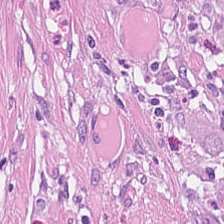Formalin-fixed paraffin-embedded section; hematoxylin-and-eosin stained section — {"tissue_type": "tumor-associated stroma"}
